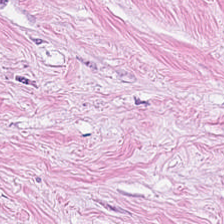Brightfield microscopy · H&E stain · 224×224 px patch. Predominant tissue — cancer-associated stroma.
